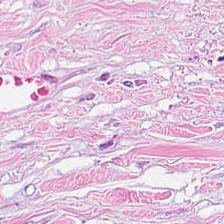H&E. 224×224 px patch. Formalin-fixed paraffin-embedded section.
Tissue — cancer-associated stroma.
